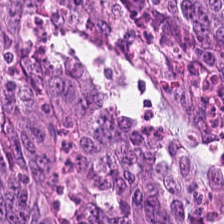Finding → colorectal adenocarcinoma epithelium.
